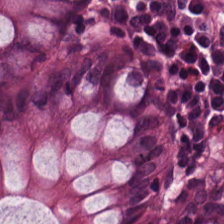Finding — normal colonic mucosa.
